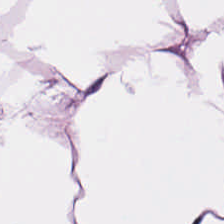Brightfield microscopy; H&E stain — The classification is fat tissue.
